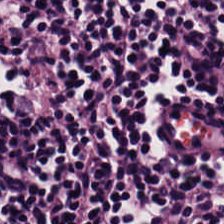H&E stain. Tissue type — lymphoid infiltrate.
